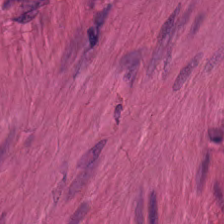Tissue — smooth-muscle tissue.
